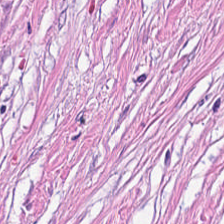H&E — Tissue = tumor-associated stroma.
